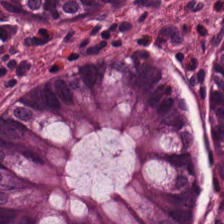H&E.
Q: What type of tissue is this?
A: It is non-neoplastic colon mucosa.
